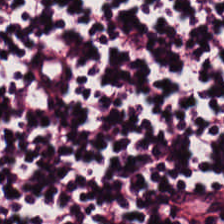Stain: H&E.
Acquisition: brightfield.
Classification: lymphocytic infiltrate.
